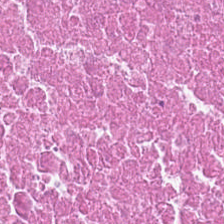Stain: H&E stain.
Classification: necrotic debris.
